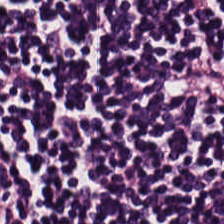0.5 microns per pixel · whole-slide-image patch · hematoxylin-and-eosin stained section.
The tissue type is lymphocyte aggregate.
